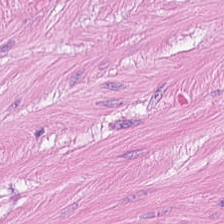Finding → smooth muscle.
